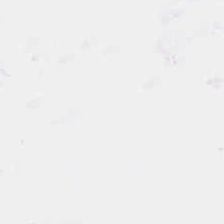FFPE. H&E-stained tissue section. Brightfield microscopy.
Content: empty background.
